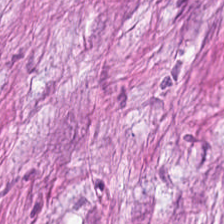FFPE · hematoxylin-and-eosin stained section.
Q: Classify this patch.
A: It is tumor stroma.
